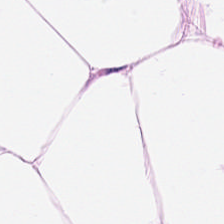Hematoxylin and eosin. Predominant tissue = fat tissue.
